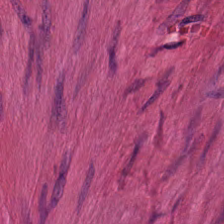Stain: H&E-stained tissue section.
Acquisition: whole-slide-image patch.
Resolution: 20× equivalent magnification.
Tissue class: muscularis.
